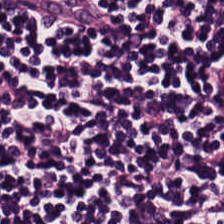Hematoxylin-and-eosin stained section; brightfield microscopy — Q: What tissue type is shown here?
A: The field shows lymphocyte aggregate.
